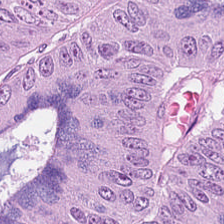H&E-stained tissue section — Q: What does this patch show?
A: It is malignant epithelium.
